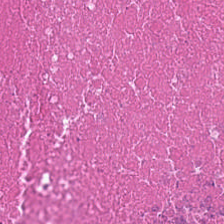H&E — Q: Identify the tissue.
A: Cellular debris.
